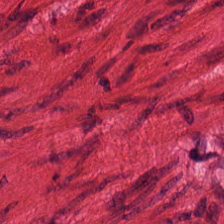0.5 microns per pixel; H&E; 224×224 pixel tile.
Q: What is shown in this field?
A: Smooth muscle.
